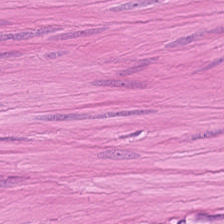Hematoxylin and eosin. The predominant tissue is muscularis.
